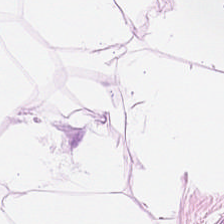Hematoxylin and eosin — Q: What does this patch show?
A: The field shows adipose.
